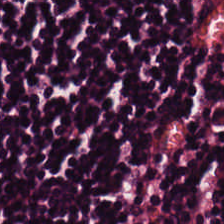Whole-slide-image patch · H&E-stained tissue section — The tissue here is lymphocytes.
